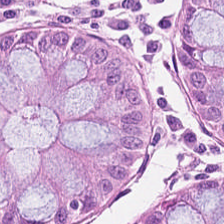{"tissue_type": "normal colonic mucosa"}
